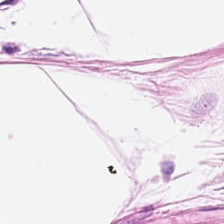Tissue type: fat tissue.
